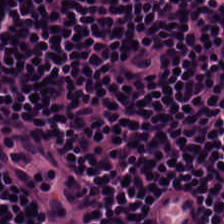Hematoxylin and eosin. Tissue = lymphocytic infiltrate.
